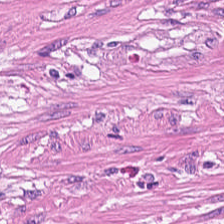Stain: hematoxylin and eosin.
Classification: smooth muscle.
